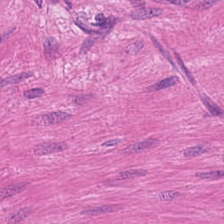H&E patch showing muscularis.
